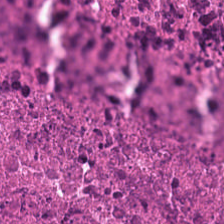H&E stain.
Predominantly debris.
